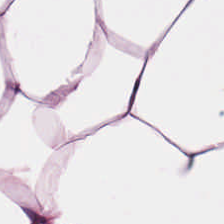Hematoxylin and eosin; 224×224 px patch.
Classification — adipose.
